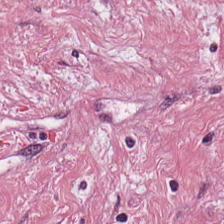H&E.
This patch shows cancer-associated stroma.
